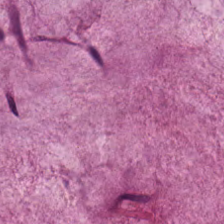This field is mucus.
